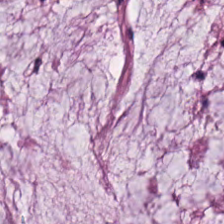H&E stain.
{"tissue_type": "mucin"}
